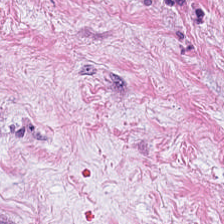Q: What is shown in this field?
A: This is tumor-associated stroma.
